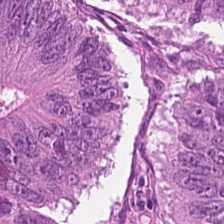Tissue = tumor epithelium.
